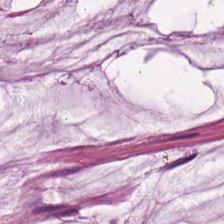224×224 px tile; H&E-stained tissue section. Q: What tissue is shown?
A: This is mucus.
